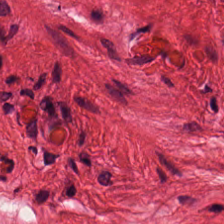Brightfield microscopy. H&E-stained tissue section — The predominant tissue is muscularis.
